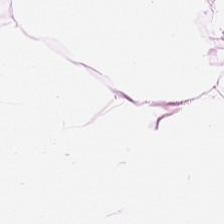H&E-stained tissue section. Q: What tissue is shown?
A: The field shows adipose tissue.
